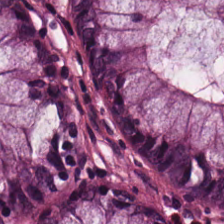Hematoxylin-and-eosin stained section. Impression → normal colonic mucosa.
